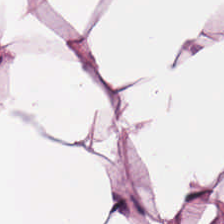H&E — Fat tissue.
